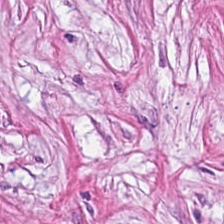H&E-stained tissue section. The predominant tissue is tumor-associated stroma.
